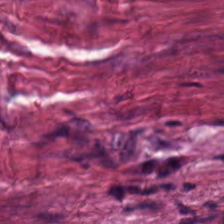H&E stain.
{"tissue_type": "tumor-associated stroma"}
